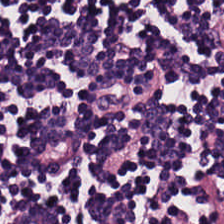Stain: H&E.
Tissue type: lymphocyte aggregate.
